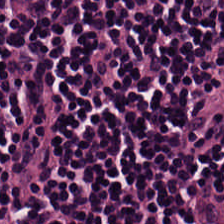H&E-stained tissue section — Q: What is shown in this field?
A: It is lymphocytes.
